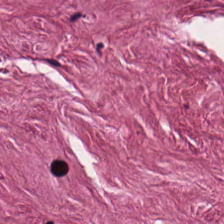H&E — cancer-associated stroma.
